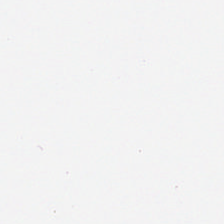Hematoxylin and eosin. Background — no tissue in this field.
